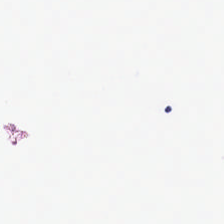224×224 px patch. 0.5 µm per pixel. H&E-stained tissue section.
This patch shows no tissue.
